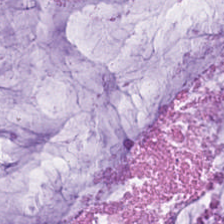H&E stain. Brightfield. Tissue class — extracellular mucin.
